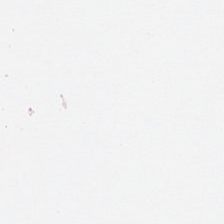Q: What is shown in this field?
A: The field shows no tissue.
